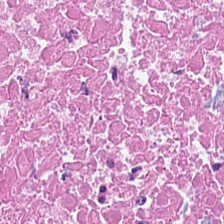Stain: hematoxylin and eosin.
Tile size: 224×224 pixel tile.
Classification: necrotic debris.
